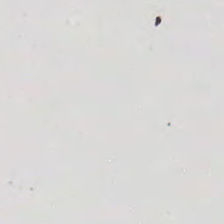224×224 px patch; H&E stain; 0.5 µm/px.
No tissue present; background only.
